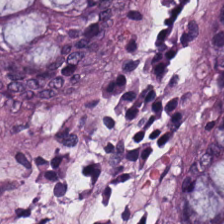H&E stain · brightfield. {"tissue_type": "normal colonic mucosa"}
